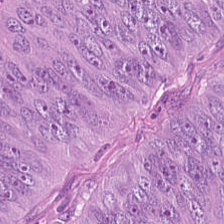H&E patch showing malignant epithelium.
